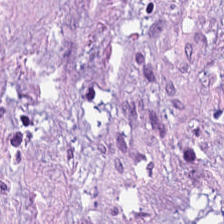Q: What tissue type is shown here?
A: This is tumor-associated stroma.
